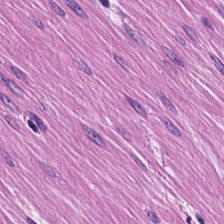H&E — {"tissue_type": "smooth muscle"}
